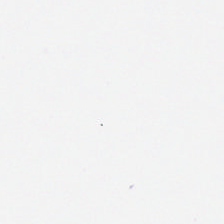224×224 pixel tile · H&E stain — Field content = background (no tissue).
